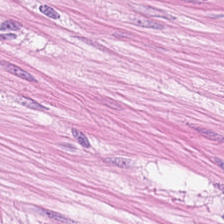The predominant tissue is muscularis.
